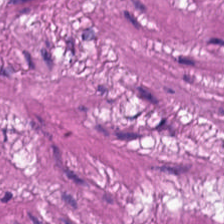H&E — The tissue here is muscularis.
